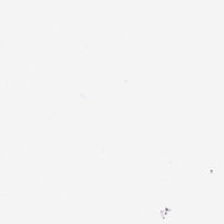20× equivalent magnification; hematoxylin and eosin.
Empty field — no tissue.
